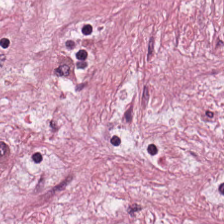Stain: H&E.
Resolution: 0.5 microns per pixel.
Predominant tissue: tumor-associated stroma.
